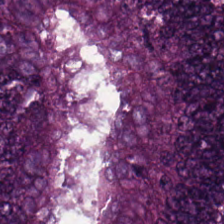20× equivalent magnification · H&E. Showing tumor epithelium.
